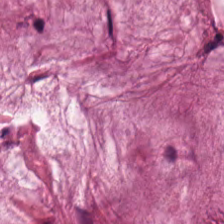Formalin-fixed paraffin-embedded section. Hematoxylin-and-eosin stained section. The tissue class is mucin.
